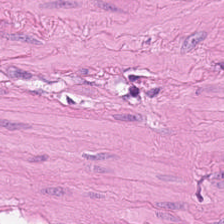Q: What is the predominant tissue type?
A: This is muscularis.
